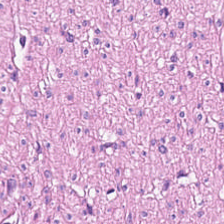20× equivalent magnification · H&E stain · 224×224 px patch — This patch shows smooth muscle.
